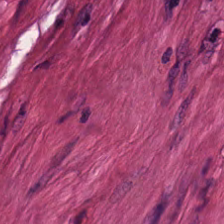Q: Identify the tissue.
A: It is smooth muscle.
